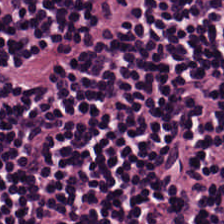Hematoxylin and eosin — Q: What does this patch show?
A: Lymphoid infiltrate.
